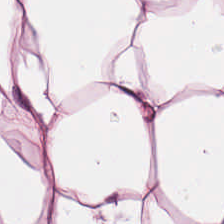Whole-slide-image patch; FFPE tissue section; H&E-stained tissue section.
Impression → adipocytes.
